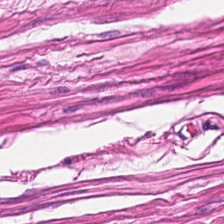Hematoxylin-and-eosin stained section.
Tissue type — smooth-muscle tissue.
